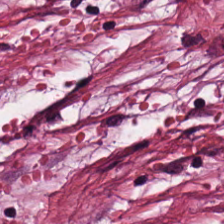Whole-slide-image patch · hematoxylin and eosin. Q: What is shown in this field?
A: Tumor stroma.
